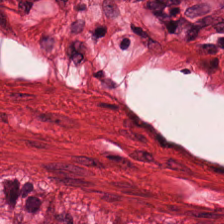Stain: hematoxylin and eosin.
Acquisition: WSI patch.
Resolution: 20× equivalent magnification.
Tissue class: smooth muscle.
